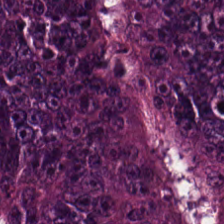Hematoxylin-and-eosin stained section — Tissue class: colorectal adenocarcinoma.
